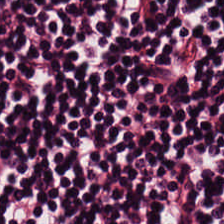Formalin-fixed paraffin-embedded section. H&E. The tissue type is lymphocytic infiltrate.
